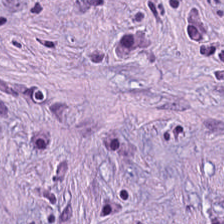H&E.
The tissue is tumor-associated stroma.
